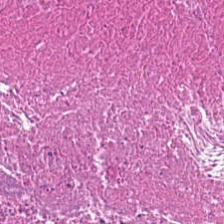Hematoxylin and eosin. Q: What is shown in this field?
A: This is debris.
